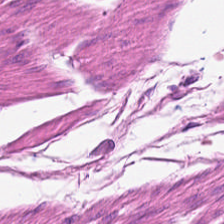Q: What is the predominant tissue type?
A: The field shows smooth-muscle tissue.
